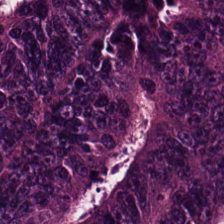Finding → adenocarcinoma.
